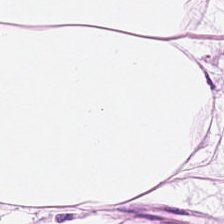Hematoxylin and eosin. 224×224 px tile. FFPE tissue section.
The predominant tissue is adipocytes.
